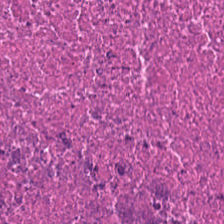Hematoxylin and eosin.
Tissue type: debris.
